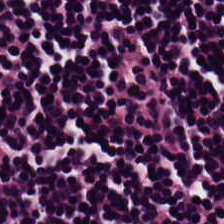Hematoxylin-and-eosin stained section.
Tissue type = lymphocytic infiltrate.
